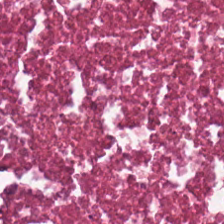H&E stain. The tissue here is debris.
